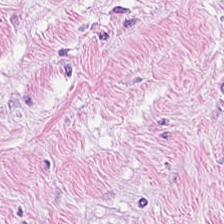224×224 pixel tile · H&E-stained tissue section · 20× equivalent magnification — Q: What tissue is shown?
A: The field shows tumor stroma.
